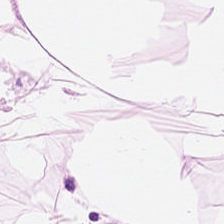Impression — adipocytes.
